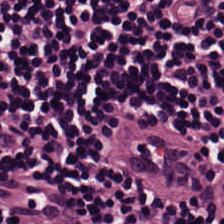H&E-stained tissue section. 224×224 pixel tile. The tissue is lymphocytic infiltrate.
